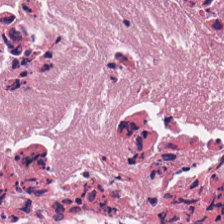Stain: H&E stain.
Tissue class: debris.
